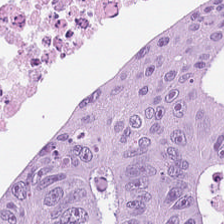Classification: malignant epithelium.
